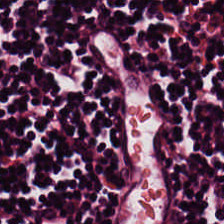H&E stain · 224×224 px tile. Showing lymphoid infiltrate.
